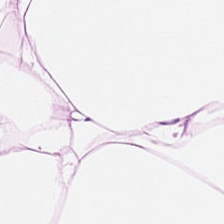Hematoxylin-and-eosin stained section — Histology — adipose tissue.
